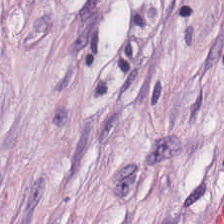H&E-stained tissue section. Tumor-associated stroma.
